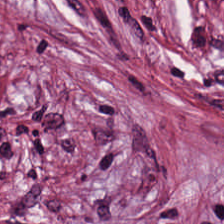The predominant tissue is tumor stroma.
